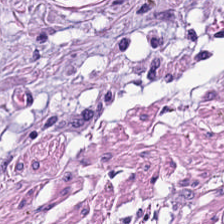Hematoxylin and eosin · FFPE tissue section. Classification: smooth muscle.
